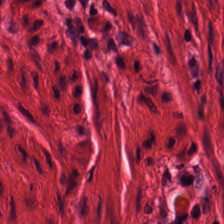Q: What is shown in this field?
A: Smooth muscle.
